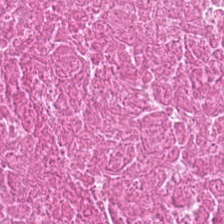Hematoxylin and eosin — This field is debris.
